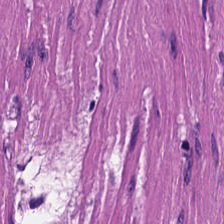H&E-stained tissue section.
Finding — smooth-muscle tissue.
